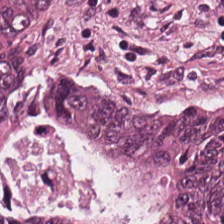H&E-stained tissue section.
Tissue class: colorectal adenocarcinoma.
